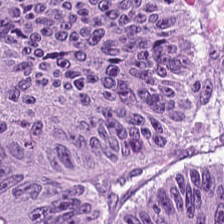Whole-slide-image patch · H&E-stained tissue section. Predominant tissue = tumor epithelium.
